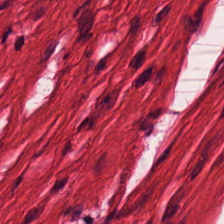Hematoxylin-and-eosin stained section · 224×224 px patch. {"tissue_type": "smooth-muscle tissue"}
